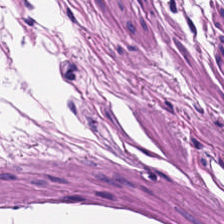This field is muscularis.
